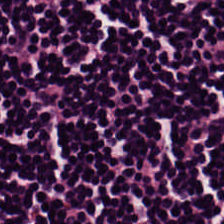Classification — lymphocytic infiltrate.
